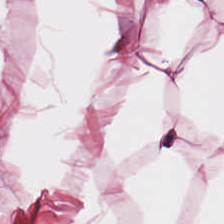Hematoxylin and eosin; whole-slide-image patch — Q: What type of tissue is this?
A: It is fat tissue.
